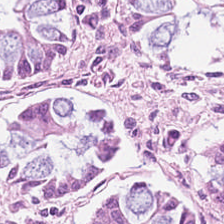H&E-stained tissue section — This patch shows normal colon mucosa.
